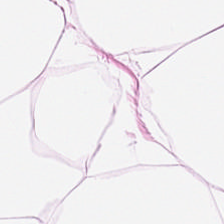Hematoxylin-and-eosin stained section; formalin-fixed paraffin-embedded section; 224×224 px tile.
The tissue class is adipocytes.
